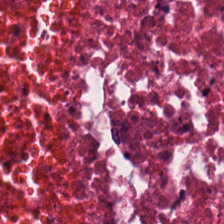Whole-slide-image patch; H&E-stained tissue section.
Tissue — debris.
